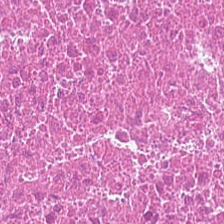H&E — The tissue class is necrotic debris.
